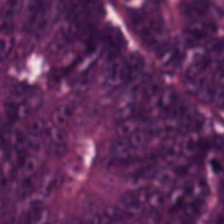Hematoxylin and eosin; 224×224 pixel tile.
The predominant tissue is tumor epithelium.
